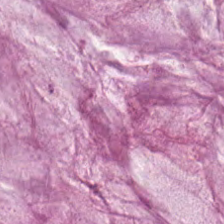Formalin-fixed paraffin-embedded section. Hematoxylin and eosin — Tissue — mucus.
